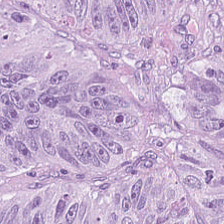FFPE. H&E. 224×224 px tile.
Q: What is shown in this field?
A: Tumor epithelium.
